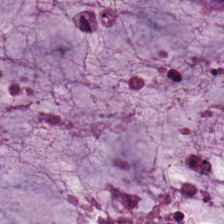H&E. WSI patch. 0.5 microns per pixel — This field is mucus.
